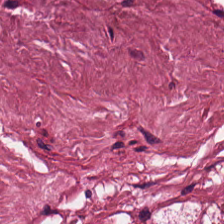H&E; 224×224 px tile.
Q: What tissue is shown?
A: It is tumor stroma.
